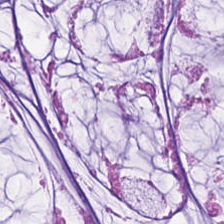20× equivalent magnification; H&E. The predominant tissue is mucus.
